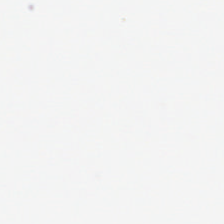No tissue present; background only.
